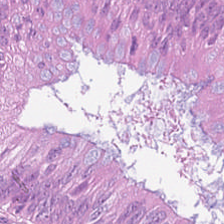Stain: H&E stain.
Resolution: 0.5 µm/px.
Classification: adenocarcinoma.
